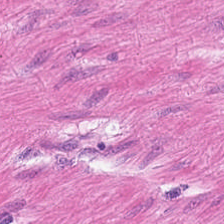Stain: H&E-stained tissue section.
Acquisition: WSI patch.
Predominant tissue: smooth-muscle tissue.
